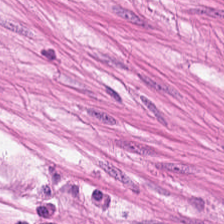Stain: hematoxylin and eosin.
Preparation: FFPE tissue section.
Predominant tissue: muscularis.
